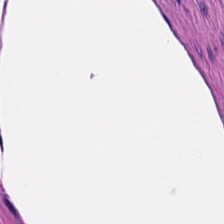Classification — muscularis.
